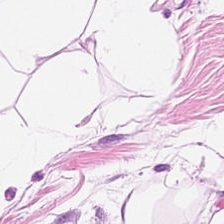Stain: hematoxylin-and-eosin stained section.
Classification: adipocytes.
